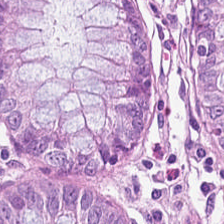Stain: H&E-stained tissue section.
Tile size: 224×224 pixel tile.
Predominant tissue: benign colonic mucosa.
